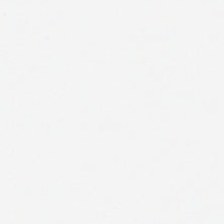Brightfield microscopy. Hematoxylin-and-eosin stained section. FFPE. Field content: no tissue.
